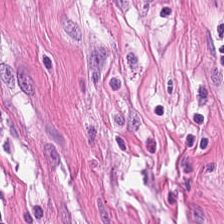H&E stain.
This patch shows smooth muscle.
